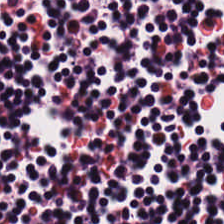H&E stain. Predominant tissue = lymphocytes.
